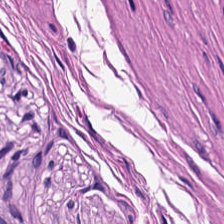H&E-stained tissue section · 0.5 µm per pixel · 224×224 pixel tile. This field is smooth-muscle tissue.
